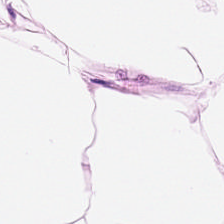H&E-stained tissue section — Predominantly adipose tissue.
